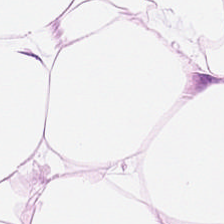Hematoxylin-and-eosin stained section. Brightfield — Fat tissue.
